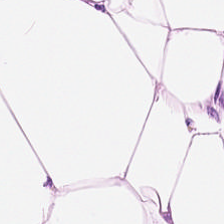Hematoxylin-and-eosin stained section. FFPE. Impression → fat tissue.
